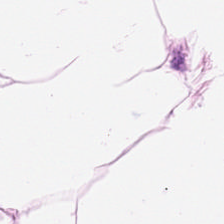H&E · whole-slide-image patch · 224×224 pixel tile. Histology — fat tissue.
